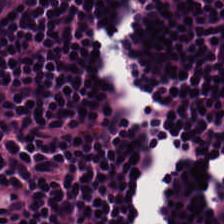0.5 microns per pixel. Hematoxylin-and-eosin stained section — The predominant tissue is lymphocytes.
